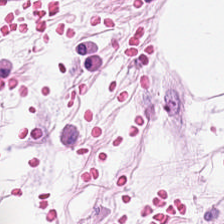Hematoxylin-and-eosin stained section.
Q: What is the predominant tissue type?
A: Adipose tissue.
